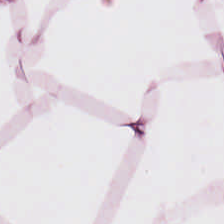H&E.
Q: What is shown here?
A: The field shows adipose tissue.
